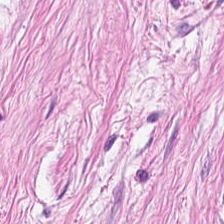224×224 pixel tile; H&E-stained tissue section; brightfield.
This patch shows cancer-associated stroma.
